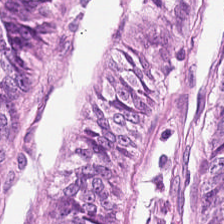Hematoxylin and eosin — {"tissue_type": "normal colonic mucosa"}
